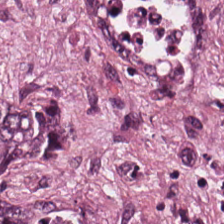H&E stain. 0.5 µm/px. This field is tumor epithelium.
